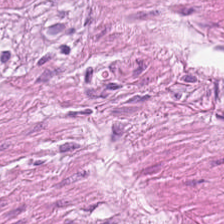20× equivalent magnification. H&E stain — Q: What is shown in this field?
A: The field shows muscularis.
